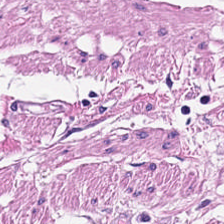This patch shows muscularis.
